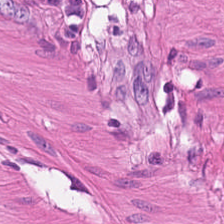Hematoxylin-and-eosin stained section. 0.5 µm/px. Smooth-muscle tissue.
